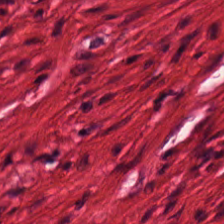224×224 px patch · 20× equivalent magnification · H&E. Predominant tissue — smooth-muscle tissue.
